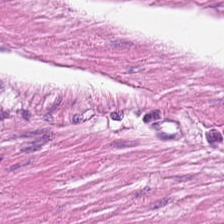H&E-stained tissue section. Finding → smooth muscle.
